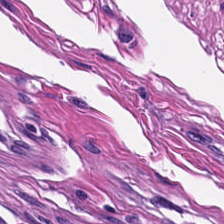Q: What does this patch show?
A: This is muscularis.
